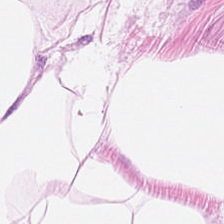Stain: H&E-stained tissue section.
Resolution: 0.5 µm/px.
Tissue class: fat tissue.
